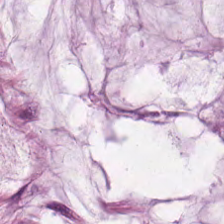Stain: H&E.
Preparation: FFPE tissue section.
Tissue type: mucus.
